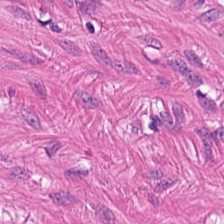H&E — Q: What does this patch show?
A: Muscularis.
